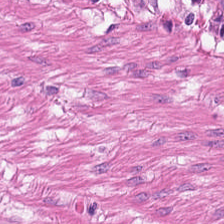H&E-stained tissue section · whole-slide-image patch.
Impression → smooth-muscle tissue.
